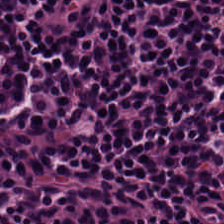Hematoxylin-and-eosin stained section. The predominant tissue is lymphocyte aggregate.
